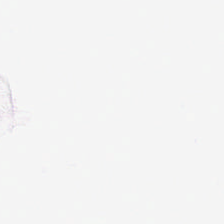Impression — background.
